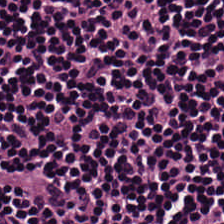Q: Identify the tissue.
A: The field shows lymphocytic infiltrate.
